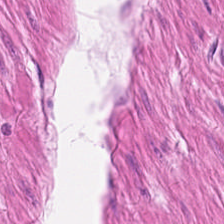Predominantly muscularis.
